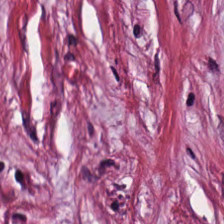Stain: H&E-stained tissue section.
Tissue: tumor-associated stroma.
